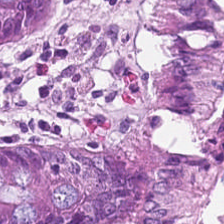H&E-stained tissue section. WSI patch. The tissue here is non-neoplastic colon mucosa.
